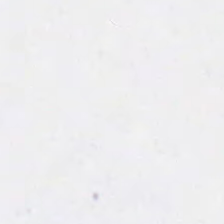H&E-stained tissue section. 20× equivalent magnification — Impression — background.
